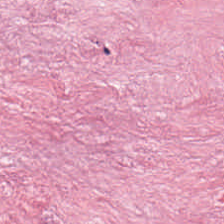224×224 px tile; WSI patch; hematoxylin and eosin — Q: What type of tissue is this?
A: This is tumor stroma.
